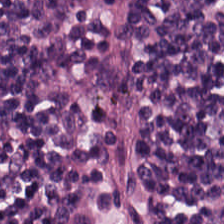WSI patch. H&E. FFPE.
Tissue class = lymphocytes.
